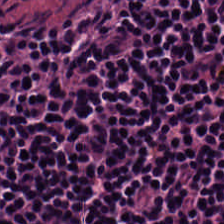H&E stain.
Q: Classify this patch.
A: Lymphocyte aggregate.
